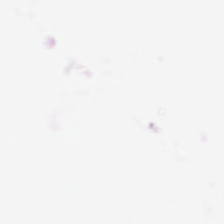Q: What is shown here?
A: This is background (no tissue).
